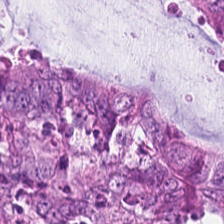H&E — Showing tumor epithelium.
